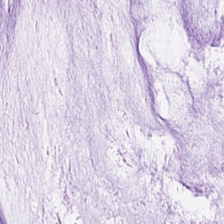Stain: H&E-stained tissue section.
Acquisition: brightfield microscopy.
Tissue type: mucin.
